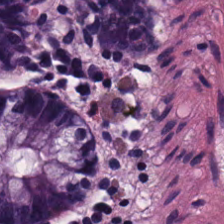Impression → normal colonic mucosa.
